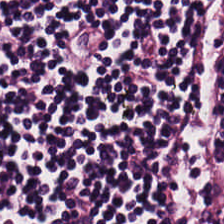Hematoxylin and eosin — Tissue type: lymphocytes.
